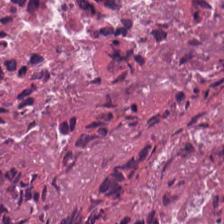Stain: H&E-stained tissue section.
Tissue class: debris.
